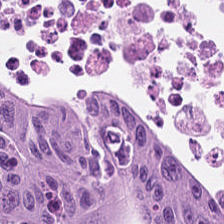H&E stain.
Tissue: tumor epithelium.
